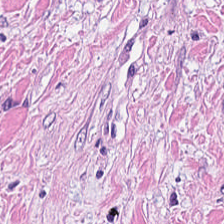H&E-stained tissue section — Q: What is shown here?
A: The field shows tumor stroma.
